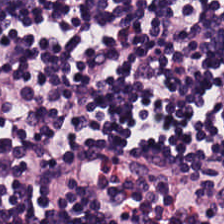H&E-stained tissue section. Whole-slide-image patch. 224×224 pixel tile. Q: What is the predominant tissue type?
A: This is lymphocyte aggregate.
